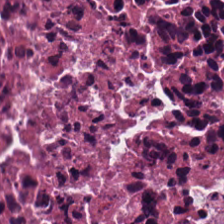224×224 pixel tile. Formalin-fixed paraffin-embedded section. Hematoxylin-and-eosin stained section. Q: What does this patch show?
A: It is cellular debris.
